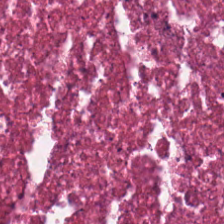Formalin-fixed paraffin-embedded section · hematoxylin-and-eosin stained section · 224×224 px patch. Q: Identify the tissue.
A: This is necrotic debris.
